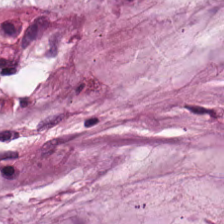0.5 µm/px; H&E. Predominant tissue = mucus.
